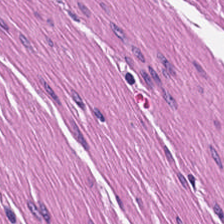H&E-stained tissue section — This patch shows smooth-muscle tissue.
